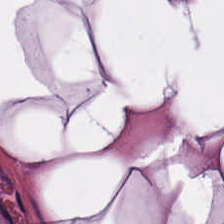Hematoxylin and eosin — Q: What is shown in this field?
A: This is adipocytes.
